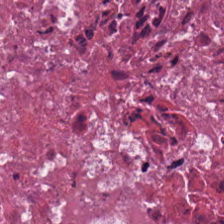Stain: hematoxylin-and-eosin stained section.
Classification: cellular debris.
